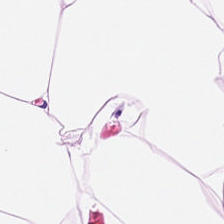H&E-stained tissue section. Q: What is shown here?
A: Adipose tissue.
